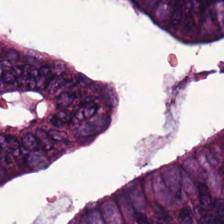0.5 µm per pixel; H&E; FFPE tissue section. Q: What tissue is shown?
A: Colorectal adenocarcinoma.
